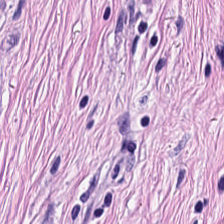Hematoxylin-and-eosin stained section.
Impression — tumor stroma.
